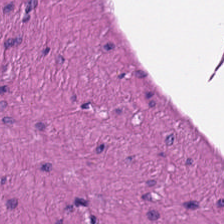Hematoxylin-and-eosin stained section.
Tissue class = smooth-muscle tissue.
